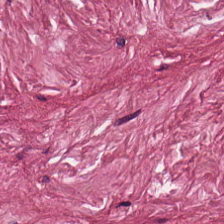224×224 px tile · H&E stain · whole-slide-image patch. {"tissue_type": "tumor stroma"}
